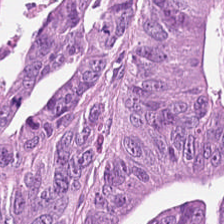H&E — The tissue type is colorectal adenocarcinoma.
